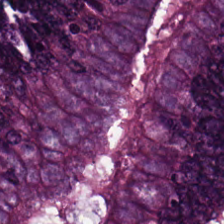FFPE tissue section · H&E-stained tissue section.
Predominant tissue — colorectal adenocarcinoma.
